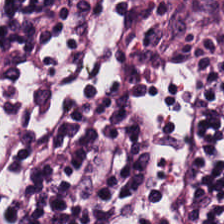Q: What is shown in this field?
A: This is lymphocytes.
